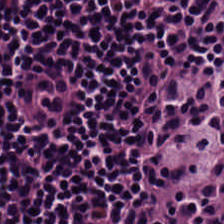Hematoxylin and eosin — Histology — lymphocytic infiltrate.
